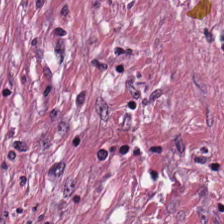Brightfield microscopy · hematoxylin-and-eosin stained section · FFPE. Predominantly cancer-associated stroma.
